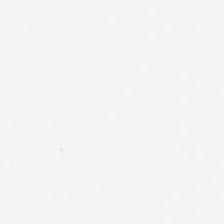No tissue present; background only.
